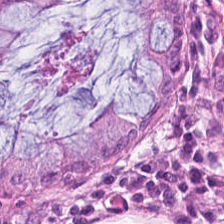Hematoxylin and eosin.
Showing normal colonic mucosa.
